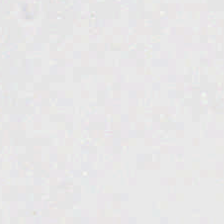Brightfield microscopy. H&E.
Content = background.
